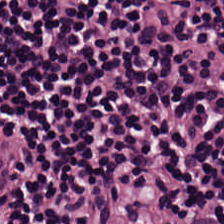H&E stain. Lymphocyte aggregate.
